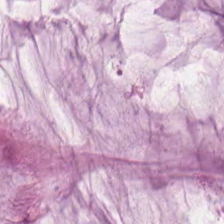H&E-stained tissue section. Impression → mucus.
